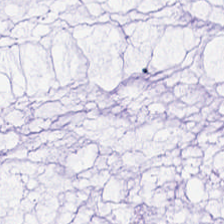FFPE. Hematoxylin and eosin. {"tissue_type": "extracellular mucin"}
